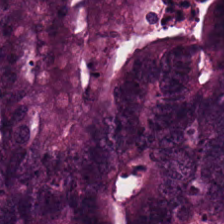Hematoxylin-and-eosin stained section.
Q: What tissue is shown?
A: This is colorectal adenocarcinoma.
